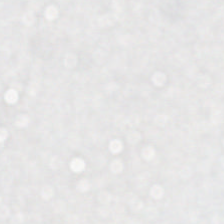H&E stain — Field content = background.
